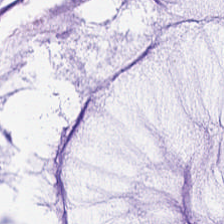Hematoxylin-and-eosin stained section; brightfield.
Q: Classify this patch.
A: This is extracellular mucin.
